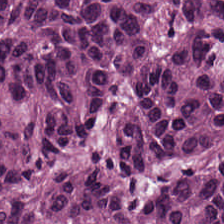H&E-stained tissue section; 0.5 µm/px; brightfield. Predominant tissue — colorectal adenocarcinoma epithelium.
